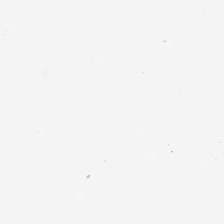Content: background.
